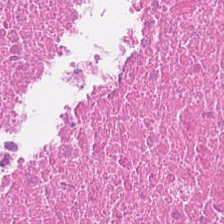H&E stain; 0.5 microns per pixel; brightfield microscopy. The predominant tissue is necrotic debris.
